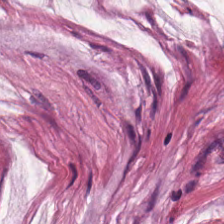H&E stain. Formalin-fixed paraffin-embedded section — Tissue: mucus.
